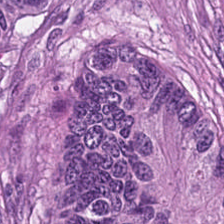Hematoxylin and eosin. Showing colorectal adenocarcinoma epithelium.
